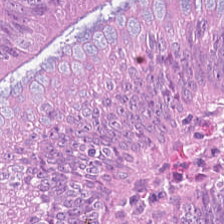0.5 µm/px; hematoxylin and eosin. The predominant tissue is tumor epithelium.
